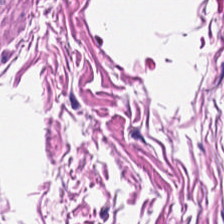Hematoxylin and eosin; 0.5 µm per pixel; formalin-fixed paraffin-embedded section. Predominantly smooth muscle.
